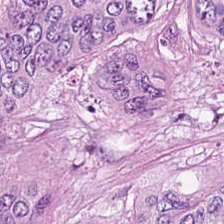Stain: H&E stain.
Resolution: 20× equivalent magnification.
Tissue type: colorectal adenocarcinoma epithelium.
